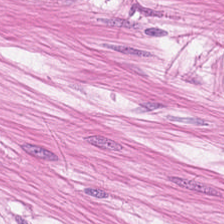Hematoxylin and eosin. Q: What does this patch show?
A: This is smooth muscle.
